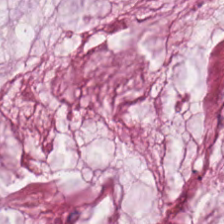Hematoxylin and eosin. Tissue — mucin.
